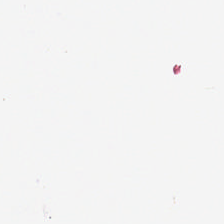H&E.
Field content: background (no tissue).
